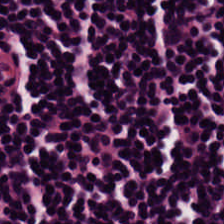H&E-stained tissue section · 224×224 px patch · formalin-fixed paraffin-embedded section. This patch shows lymphocyte aggregate.
